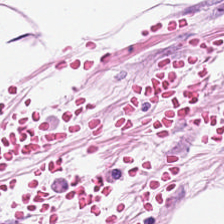H&E · brightfield microscopy — Q: What does this patch show?
A: The field shows adipocytes.
